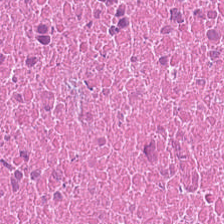Tissue type: debris.
